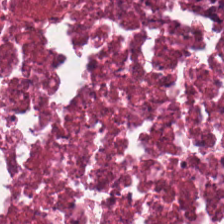H&E-stained tissue section; whole-slide-image patch — This field is debris.
